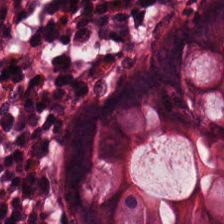H&E-stained tissue section. Q: What is the predominant tissue type?
A: Normal colon mucosa.
